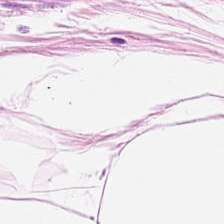FFPE · hematoxylin and eosin · 0.5 µm/px — {"tissue_type": "fat tissue"}
